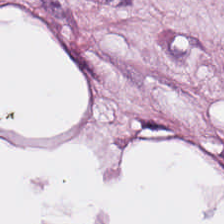20× equivalent magnification · H&E.
Tissue type = adipose.
